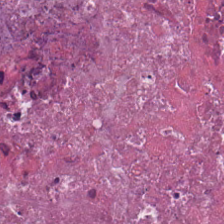Q: What is shown here?
A: The field shows necrotic debris.
